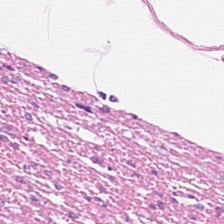FFPE tissue section. Hematoxylin and eosin — Predominant tissue — muscularis.
